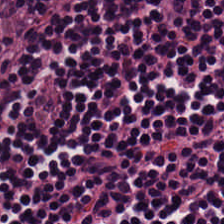Q: What does this patch show?
A: This is lymphocytic infiltrate.
